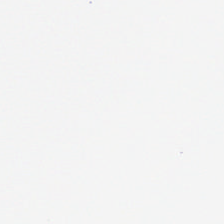Content — background.
